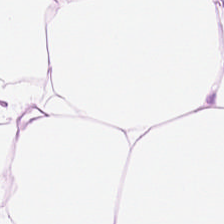0.5 microns per pixel. 224×224 px tile. H&E-stained tissue section.
{"tissue_type": "adipocytes"}
